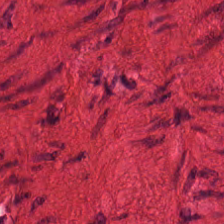224×224 px tile. H&E. Tissue type = smooth-muscle tissue.
